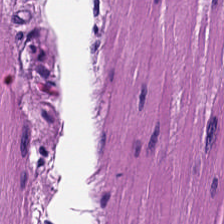Hematoxylin and eosin.
This patch shows smooth-muscle tissue.
